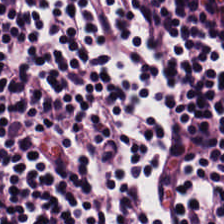Tissue — lymphoid infiltrate.
